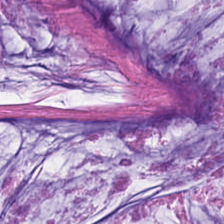Tissue class = mucin.
